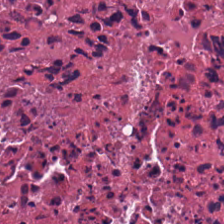H&E-stained tissue section; 0.5 microns per pixel. Q: What type of tissue is this?
A: It is necrotic debris.
